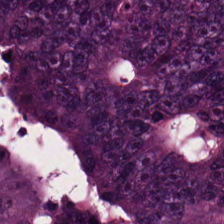Finding — adenocarcinoma.
